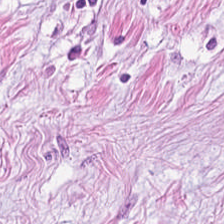224×224 pixel tile · H&E stain · WSI patch — The tissue class is tumor stroma.
